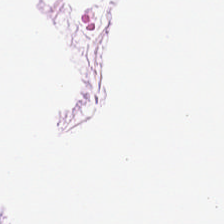Hematoxylin and eosin. 0.5 microns per pixel — Finding — adipose.
